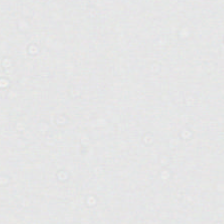Stain: H&E.
Tile size: 224×224 px patch.
Resolution: 0.5 µm per pixel.
Field content: empty background.
